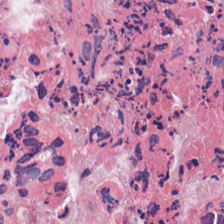Hematoxylin-and-eosin stained section.
Predominantly necrotic debris.
